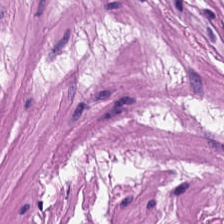Stain: H&E-stained tissue section.
Resolution: 0.5 µm/px.
Tissue type: smooth muscle.
